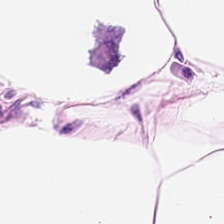H&E · FFPE tissue section · whole-slide-image patch. {"tissue_type": "adipocytes"}
